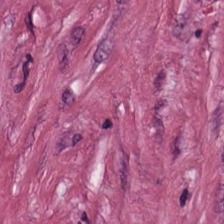Stain: H&E.
Tissue type: desmoplastic stroma.
